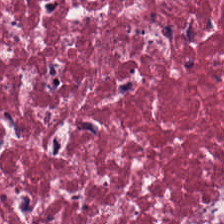Hematoxylin-and-eosin stained section.
{"tissue_type": "tumor stroma"}
